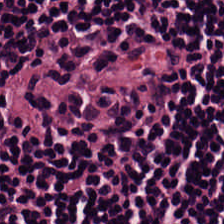H&E stain.
Tissue type — lymphoid infiltrate.
